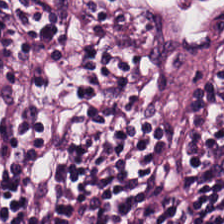Stain: hematoxylin and eosin.
Classification: lymphoid infiltrate.
